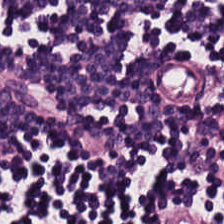H&E stain · formalin-fixed paraffin-embedded section — Showing lymphocytic infiltrate.
